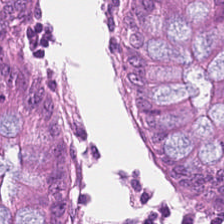Tissue — normal colonic mucosa.
